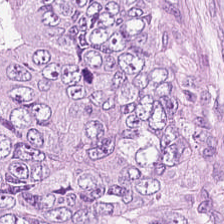Finding — tumor epithelium.
